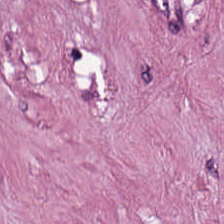H&E.
The tissue type is desmoplastic stroma.
